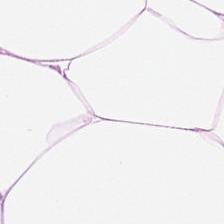H&E stain; 0.5 microns per pixel — The tissue class is adipocytes.
